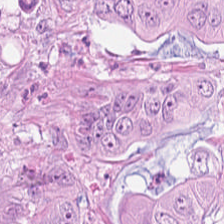224×224 pixel tile · H&E-stained tissue section · brightfield microscopy. Q: What is the predominant tissue type?
A: Adenocarcinoma.
